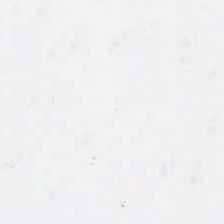0.5 microns per pixel; hematoxylin and eosin; 224×224 px tile — Q: What does this patch show?
A: It is no tissue.
